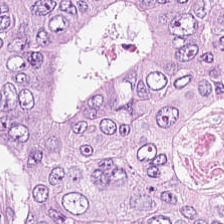H&E; brightfield microscopy — The predominant tissue is tumor epithelium.
